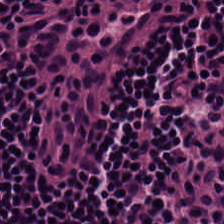Q: What tissue type is shown here?
A: Lymphocyte aggregate.
